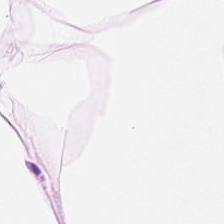Hematoxylin and eosin — Predominantly fat tissue.
